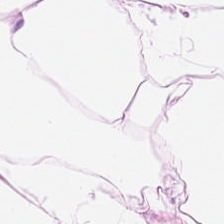H&E-stained section; the field shows fat tissue.
